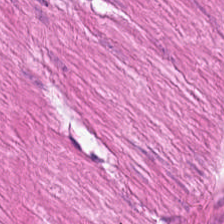Hematoxylin-and-eosin stained section. Predominantly smooth-muscle tissue.
